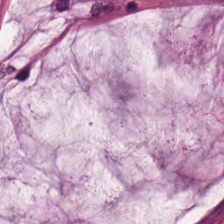0.5 microns per pixel; H&E-stained tissue section — Predominant tissue: mucus.
